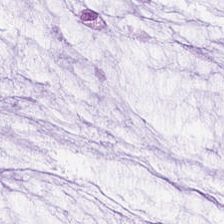H&E. Predominantly mucin.
